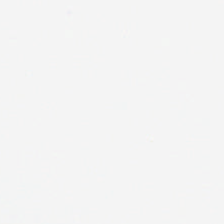H&E stain — No tissue present; background only.
